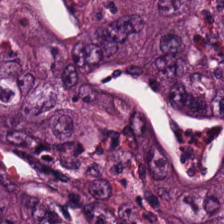H&E — {"tissue_type": "adenocarcinoma"}
